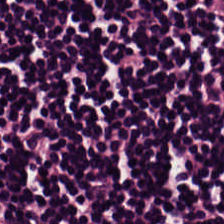H&E-stained tissue section. Brightfield microscopy. Tissue = lymphocytic infiltrate.
